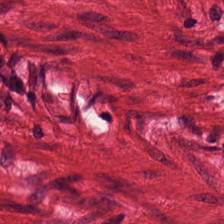Hematoxylin and eosin — Q: What is shown here?
A: This is muscularis.
